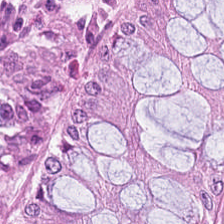Hematoxylin-and-eosin stained section. Benign colonic mucosa.
